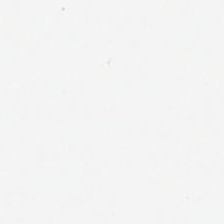H&E stain; FFPE tissue section; 224×224 px patch. Background — no tissue in this field.
